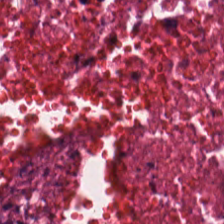FFPE · 224×224 px tile · H&E. The predominant tissue is necrotic debris.
